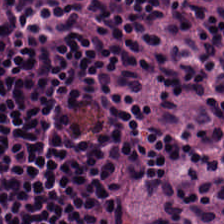Q: What tissue type is shown here?
A: It is lymphocytes.
